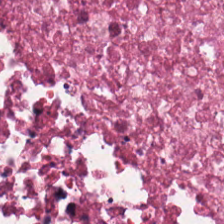H&E; FFPE.
Tissue type: debris.
